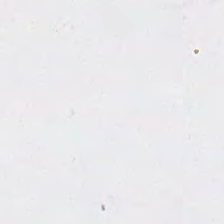0.5 microns per pixel · hematoxylin and eosin.
The field content is background.
